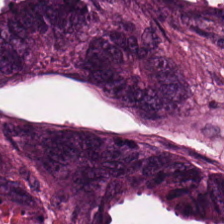H&E.
Predominant tissue — tumor epithelium.
